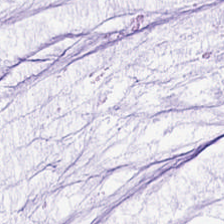H&E; 20× equivalent magnification. Mucin.
